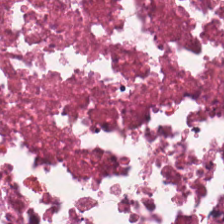Hematoxylin and eosin; 0.5 µm per pixel. The tissue is necrotic debris.
